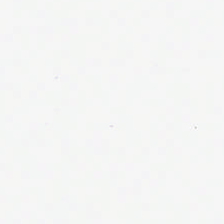H&E stain · FFPE tissue section — {"content": "empty background"}
